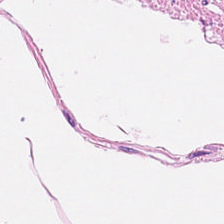Hematoxylin and eosin.
Tissue = smooth-muscle tissue.
